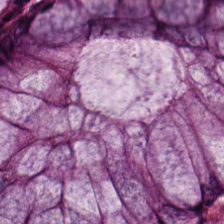Stain: H&E.
Preparation: FFPE tissue section.
Tissue type: normal colon mucosa.
